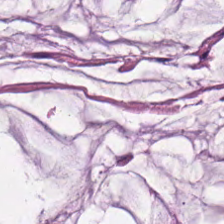H&E.
Histology → mucus.
